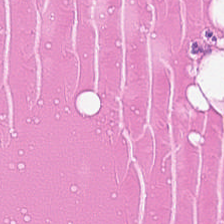H&E stain. Whole-slide-image patch. 224×224 px tile.
Impression — debris.
